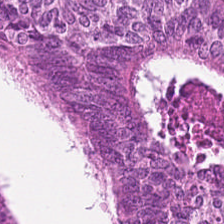The tissue here is colorectal adenocarcinoma.
